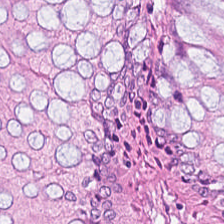The tissue is non-neoplastic colon mucosa.
